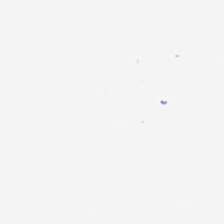Stain: H&E.
Field content: no tissue.
